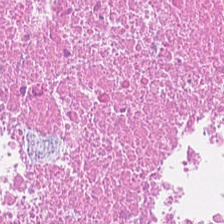H&E-stained section; the field shows debris.
